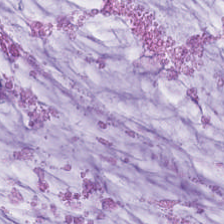H&E-stained tissue section. Tissue type: mucin.
